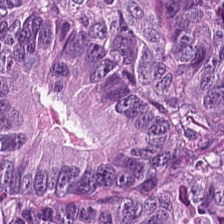Tissue = tumor epithelium.
